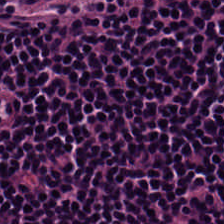Predominantly lymphocyte aggregate.
